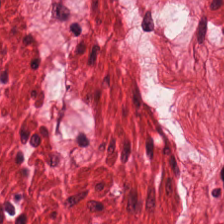Hematoxylin and eosin. Impression — muscularis.
